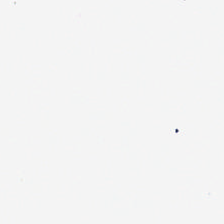Q: What does this patch show?
A: Empty background.
